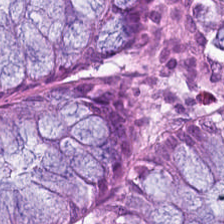224×224 pixel tile. Hematoxylin-and-eosin stained section. 0.5 µm/px — Normal colonic mucosa.
